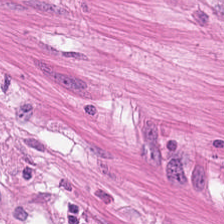H&E-stained tissue section. Classification = muscularis.
